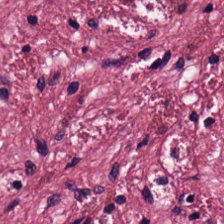0.5 microns per pixel · H&E stain. Q: What type of tissue is this?
A: It is cancer-associated stroma.
